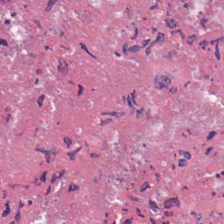H&E stain; formalin-fixed paraffin-embedded section; brightfield. Finding → cellular debris.
